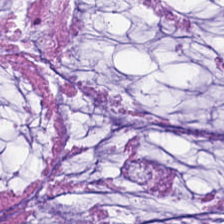H&E-stained tissue section. Whole-slide-image patch — Histology — extracellular mucin.
